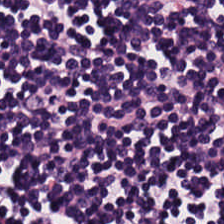The predominant tissue is lymphocytic infiltrate.
